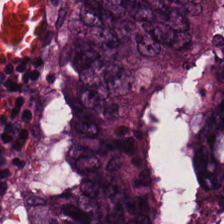20× equivalent magnification; hematoxylin-and-eosin stained section — {"tissue_type": "adenocarcinoma"}
